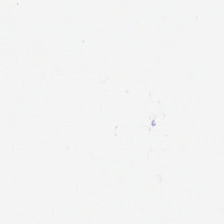Classification = background (no tissue).
